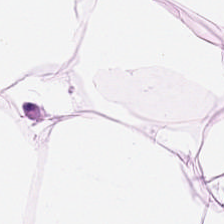Classification — adipocytes.
